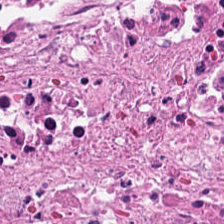The tissue type is necrotic debris.
